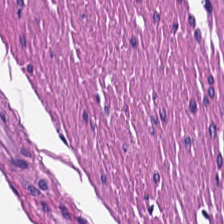H&E stain. Histology — smooth muscle.
